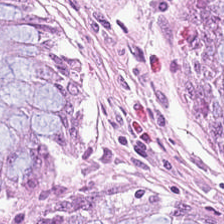224×224 px tile; H&E; FFPE — Tissue type = non-neoplastic colon mucosa.
